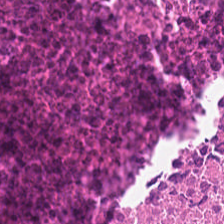FFPE · hematoxylin-and-eosin stained section — Predominantly necrotic debris.
